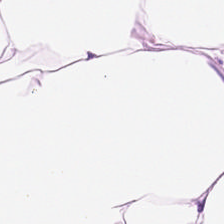Stain: H&E stain.
Predominant tissue: adipose.
